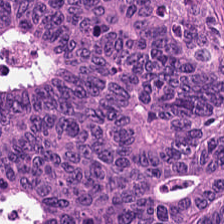FFPE tissue section. 224×224 px patch. Hematoxylin and eosin.
Q: What is shown here?
A: Malignant epithelium.
